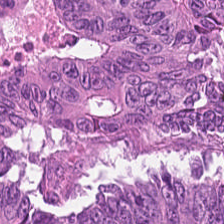H&E · 20× equivalent magnification. The predominant tissue is tumor epithelium.
